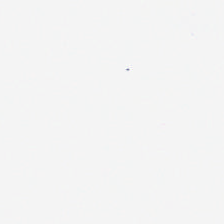Hematoxylin and eosin. This field is background (no tissue).
